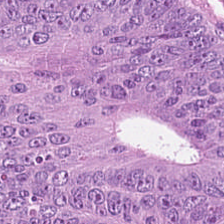Hematoxylin-and-eosin stained section. The tissue is adenocarcinoma.
